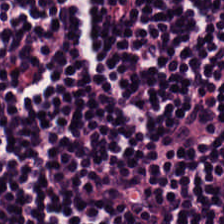Q: What is shown in this field?
A: It is lymphocytic infiltrate.
